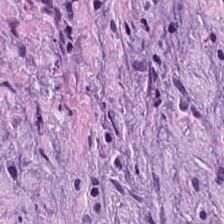20× equivalent magnification · H&E · 224×224 px patch.
This patch shows desmoplastic stroma.
